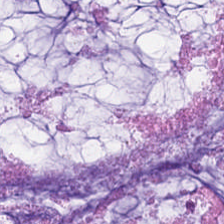Q: Identify the tissue.
A: This is mucin.
